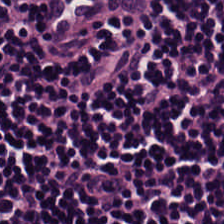H&E-stained tissue section · brightfield — Classification — lymphocytic infiltrate.
